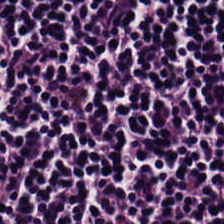H&E stain. Q: What is shown in this field?
A: Lymphocyte aggregate.
